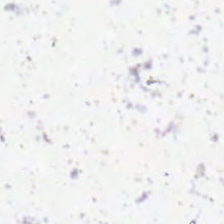Empty background.
